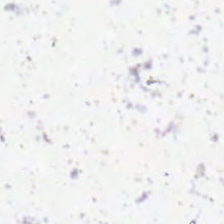Empty background.
